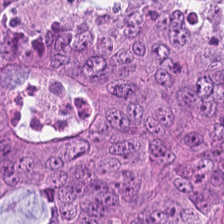Hematoxylin and eosin — Tissue type: colorectal adenocarcinoma.
